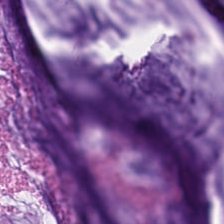Hematoxylin-and-eosin stained section.
The predominant tissue is mucus.
